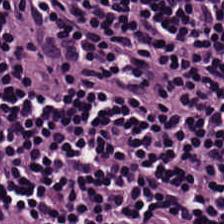H&E-stained tissue section.
Q: What type of tissue is this?
A: It is lymphoid infiltrate.
